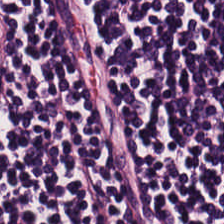Hematoxylin-and-eosin stained section; 224×224 px patch. The predominant tissue is lymphocytic infiltrate.
